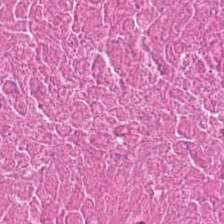{"tissue_type": "debris"}
